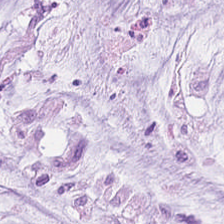Brightfield · H&E-stained tissue section · formalin-fixed paraffin-embedded section.
Finding — mucus.
